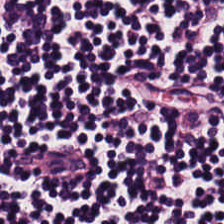H&E-stained tissue section — This field is lymphocytes.
